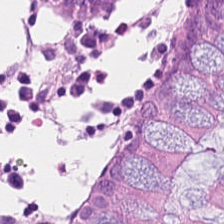H&E-stained tissue section; brightfield — Tissue type — normal colonic mucosa.
